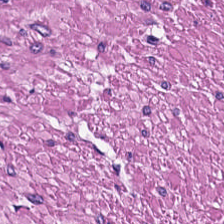Hematoxylin and eosin.
Finding — muscularis.
